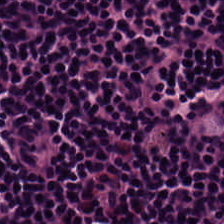FFPE; hematoxylin-and-eosin stained section. Tissue: lymphocytic infiltrate.
